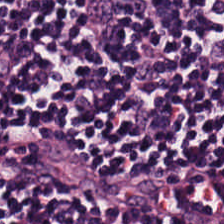H&E — lymphocytic infiltrate.
